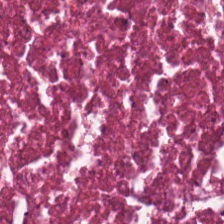The tissue class is debris.
